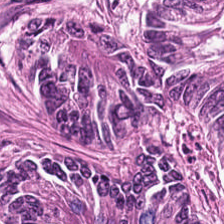H&E-stained tissue section — This field is colorectal adenocarcinoma epithelium.
